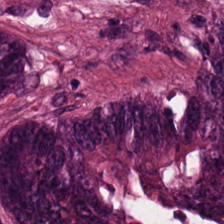Stain: H&E-stained tissue section.
Preparation: FFPE.
Tile size: 224×224 pixel tile.
Tissue type: tumor epithelium.
